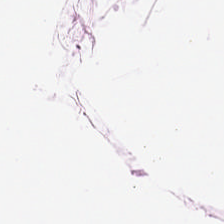0.5 µm per pixel; H&E stain — Fat tissue.
